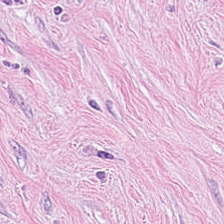Hematoxylin-and-eosin stained section. Predominant tissue: tumor-associated stroma.
